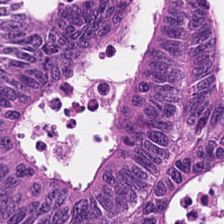Hematoxylin-and-eosin stained section. WSI patch. This field is colorectal adenocarcinoma epithelium.
